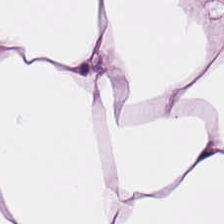H&E-stained tissue section · brightfield. Predominantly adipose.
